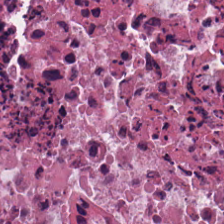Hematoxylin-and-eosin stained section — Predominantly cellular debris.
